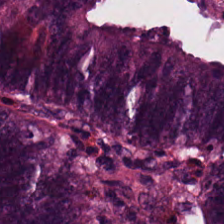Impression — colorectal adenocarcinoma.
